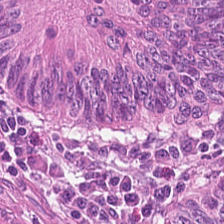0.5 µm per pixel. Hematoxylin-and-eosin stained section. Classification: adenocarcinoma.
